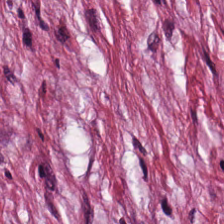Hematoxylin-and-eosin section: tumor-associated stroma.
